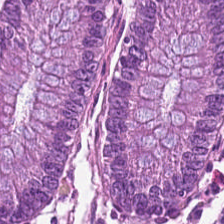FFPE tissue section. Hematoxylin and eosin. Tissue type: non-neoplastic colon mucosa.
